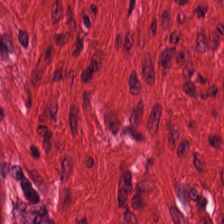Classification — muscularis.
